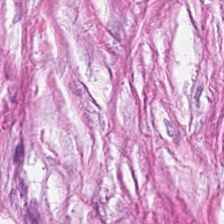Stain: hematoxylin-and-eosin stained section.
Acquisition: brightfield microscopy.
Tissue class: cancer-associated stroma.
